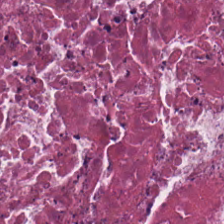224×224 pixel tile · 0.5 µm/px · H&E-stained tissue section — The predominant tissue is cellular debris.
